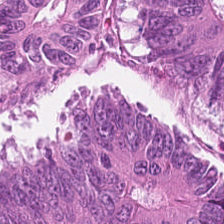H&E stain. 224×224 px tile — The predominant tissue is malignant epithelium.
